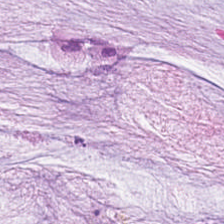H&E stain. Q: What is shown in this field?
A: The field shows extracellular mucin.
